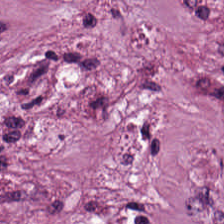H&E-stained tissue section. The tissue here is desmoplastic stroma.
